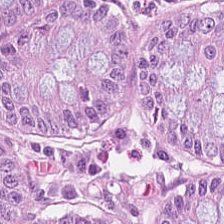Stain: hematoxylin and eosin.
Tissue class: benign colonic mucosa.
